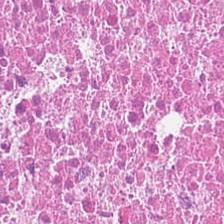20× equivalent magnification · hematoxylin-and-eosin stained section.
This field is necrotic debris.
